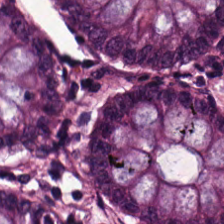224×224 pixel tile · H&E · 20× equivalent magnification. This field is non-neoplastic colon mucosa.
